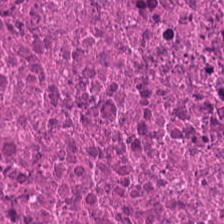Hematoxylin and eosin; 20× equivalent magnification.
The predominant tissue is necrotic debris.
